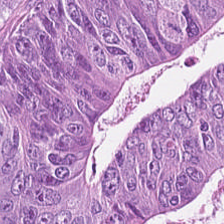FFPE tissue section · H&E stain — {"tissue_type": "tumor epithelium"}
